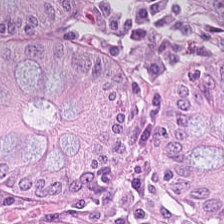H&E stain. Formalin-fixed paraffin-embedded section — Finding → non-neoplastic colon mucosa.
